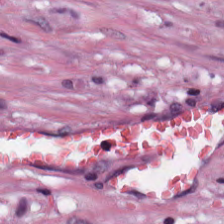Hematoxylin-and-eosin stained section — The tissue here is tumor stroma.
